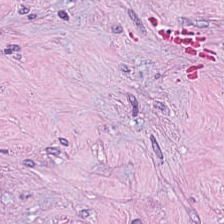224×224 px patch. 0.5 microns per pixel. H&E stain — Predominant tissue = cellular debris.
